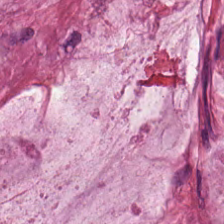Hematoxylin-and-eosin stained section · 0.5 microns per pixel. The predominant tissue is extracellular mucin.
